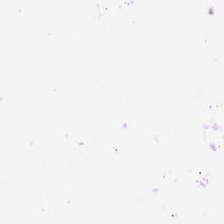Brightfield microscopy; H&E-stained tissue section. Q: What does this patch show?
A: This is background (no tissue).
